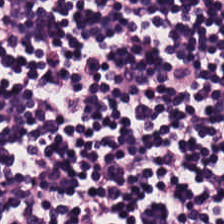Hematoxylin-and-eosin section: lymphocytic infiltrate.
